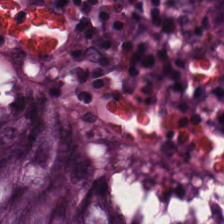Hematoxylin-and-eosin stained section. The tissue here is non-neoplastic colon mucosa.
